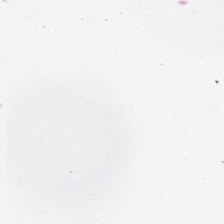H&E stain. Empty field — empty background.
